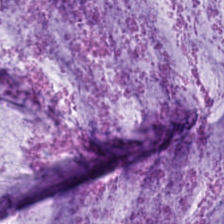H&E-stained tissue section.
Q: What is shown here?
A: The field shows extracellular mucin.
